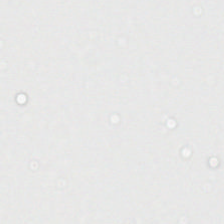Hematoxylin-and-eosin stained section; whole-slide-image patch — Q: What is shown here?
A: The field shows background.
